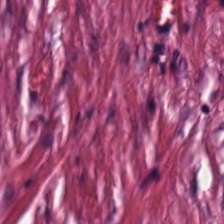H&E — cancer-associated stroma.
